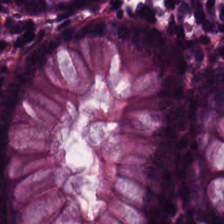The tissue class is non-neoplastic colon mucosa.
